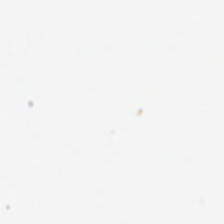Empty field — background (no tissue).
